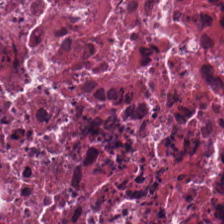H&E. Showing cellular debris.
